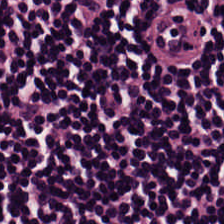Hematoxylin-and-eosin stained section. Formalin-fixed paraffin-embedded section. 224×224 px patch — This field is lymphoid infiltrate.
